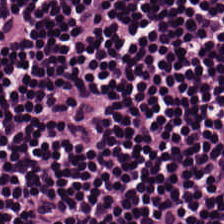Hematoxylin-and-eosin stained section; 0.5 µm per pixel.
The tissue type is lymphoid infiltrate.
